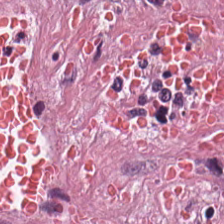Stain: H&E.
Tissue: cancer-associated stroma.
